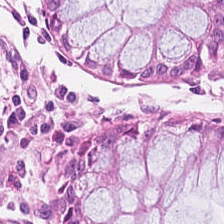The predominant tissue is normal colon mucosa.
